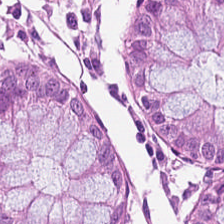H&E stain · FFPE tissue section.
Q: What is the predominant tissue type?
A: This is non-neoplastic colon mucosa.
